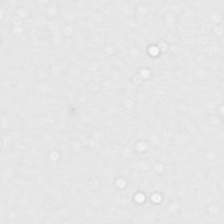Content — empty background.
